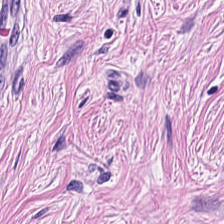H&E-stained tissue section · 0.5 microns per pixel.
Classification = tumor-associated stroma.
